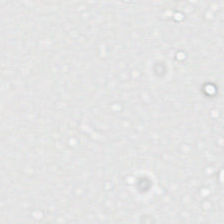224×224 pixel tile; hematoxylin and eosin. Empty field — background.
